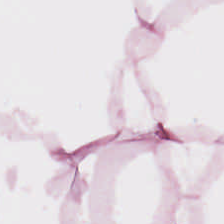Stain: H&E.
Classification: fat tissue.
